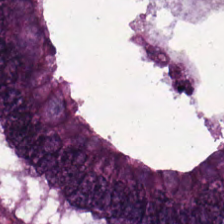H&E-stained tissue section — This patch shows tumor epithelium.
